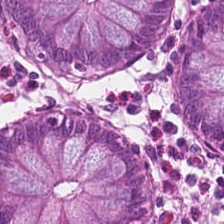Hematoxylin and eosin · 224×224 px tile · formalin-fixed paraffin-embedded section.
{"tissue_type": "normal colon mucosa"}
